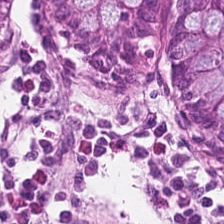H&E; 0.5 µm/px — This patch shows normal colonic mucosa.
